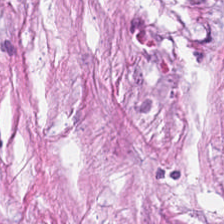Hematoxylin-and-eosin stained section — This field is tumor-associated stroma.
